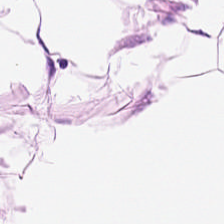{"tissue_type": "adipose"}
